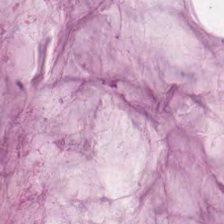Stain: H&E stain.
Tissue: extracellular mucin.
